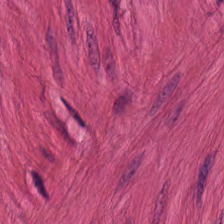20× equivalent magnification · H&E stain · FFPE — Q: Identify the tissue.
A: This is muscularis.
